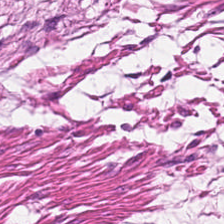H&E patch showing smooth-muscle tissue.
